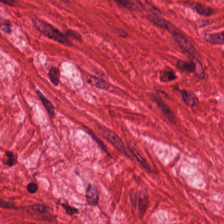This patch shows smooth-muscle tissue.
